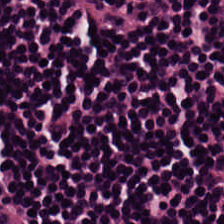Stain: H&E stain.
Preparation: FFPE.
Tile size: 224×224 px tile.
Tissue: lymphocytes.
